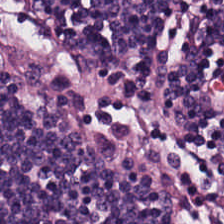Q: What is shown in this field?
A: It is lymphocyte aggregate.
